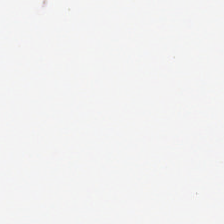Hematoxylin and eosin — The classification is no tissue.
